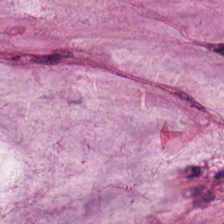Whole-slide-image patch; H&E stain. Histology → extracellular mucin.
